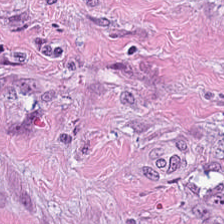H&E stain — Q: What tissue type is shown here?
A: It is desmoplastic stroma.
